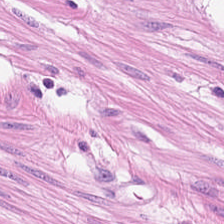Predominant tissue: smooth muscle.
